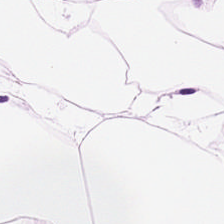H&E.
The predominant tissue is adipocytes.
